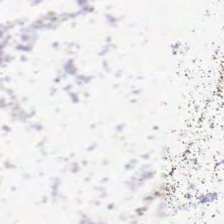The field content is empty background.
